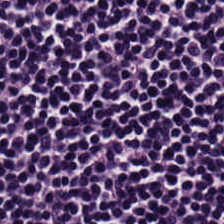The predominant tissue is lymphoid infiltrate.
